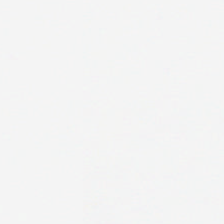H&E-stained tissue section; 0.5 µm/px; 224×224 pixel tile.
Background.
